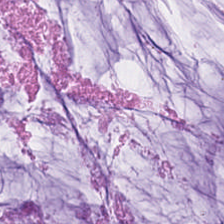Stain: hematoxylin and eosin.
Classification: mucin.
